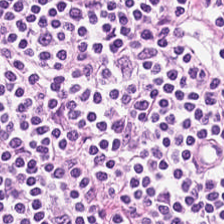Hematoxylin-and-eosin stained section.
Tissue = lymphocytes.
